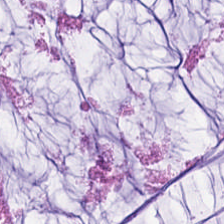FFPE. WSI patch. Hematoxylin and eosin.
Showing mucus.
